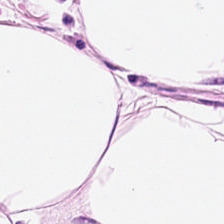This patch shows adipocytes.
